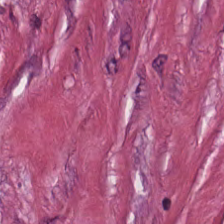Tissue: tumor stroma.
